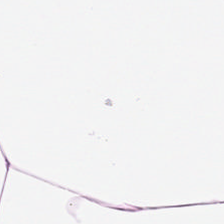Hematoxylin-and-eosin stained section. The classification is adipose.
